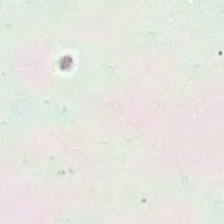Stain: H&E.
Tile size: 224×224 px patch.
Field content: background (no tissue).
